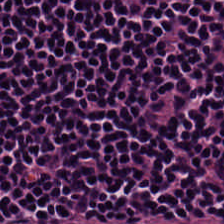Hematoxylin and eosin.
This patch shows lymphocytes.
